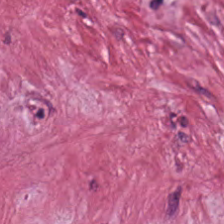Q: What is shown in this field?
A: The field shows tumor stroma.
